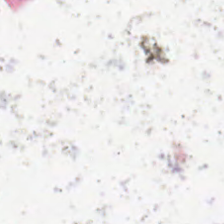H&E stain · 0.5 µm/px — This patch shows no tissue.
